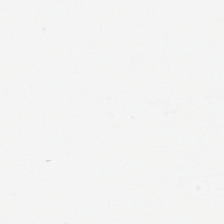Hematoxylin-and-eosin stained section; FFPE — Q: What is shown here?
A: The field shows no tissue.
